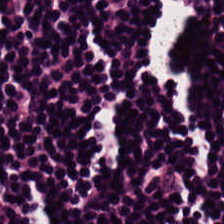Hematoxylin and eosin · 20× equivalent magnification — Q: What is shown in this field?
A: This is lymphoid infiltrate.
